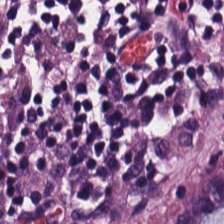Stain: hematoxylin and eosin.
Predominant tissue: normal colonic mucosa.
